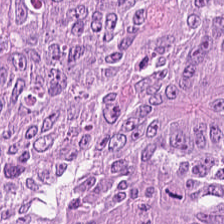H&E-stained tissue section. 0.5 microns per pixel. The predominant tissue is adenocarcinoma.
